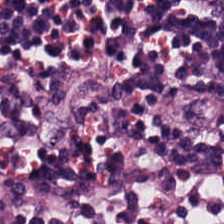H&E.
The tissue here is lymphocyte aggregate.
